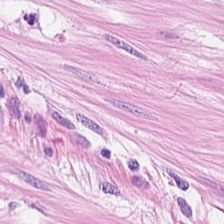Hematoxylin and eosin · 224×224 pixel tile · 0.5 µm per pixel — Finding — smooth-muscle tissue.
